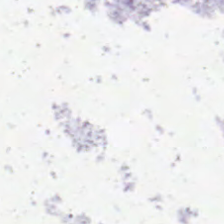0.5 µm per pixel. Hematoxylin-and-eosin stained section. 224×224 pixel tile — Field content = no tissue.
